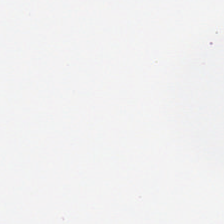{"content": "background (no tissue)"}
